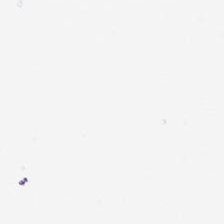Stain: hematoxylin and eosin.
Preparation: formalin-fixed paraffin-embedded section.
Content: no tissue.
